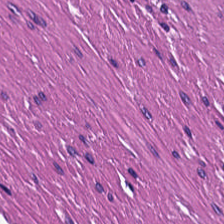Hematoxylin and eosin. Brightfield microscopy. Impression → muscularis.
